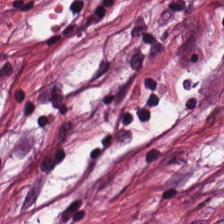20× equivalent magnification. H&E. Cancer-associated stroma.
